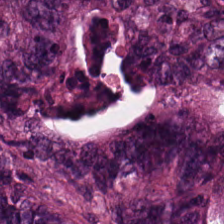Q: What tissue type is shown here?
A: The field shows tumor epithelium.
